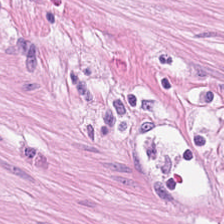Formalin-fixed paraffin-embedded section; brightfield microscopy; hematoxylin-and-eosin stained section. The tissue is smooth-muscle tissue.
